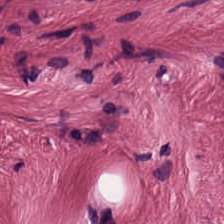Hematoxylin and eosin. FFPE tissue section.
Finding — tumor stroma.
